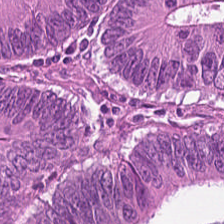Hematoxylin-and-eosin stained section · 224×224 px tile. Classification: tumor epithelium.
